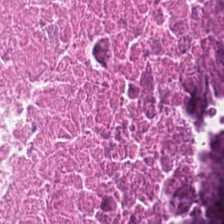Hematoxylin-and-eosin stained section; 224×224 px tile — Predominantly necrotic debris.
